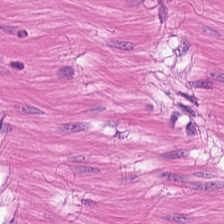WSI patch; 224×224 px patch; hematoxylin-and-eosin stained section. Histology → smooth-muscle tissue.
